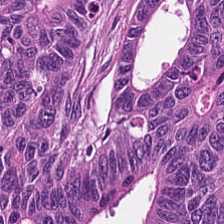Hematoxylin-and-eosin stained section · FFPE tissue section.
Tissue class = colorectal adenocarcinoma.
